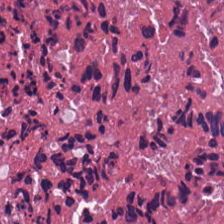Brightfield microscopy. H&E — This patch shows cellular debris.
